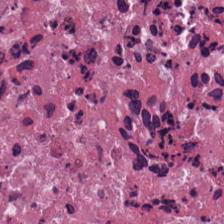The classification is cellular debris.
